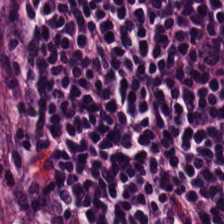Stain: H&E.
Preparation: FFPE.
Predominant tissue: lymphoid infiltrate.
